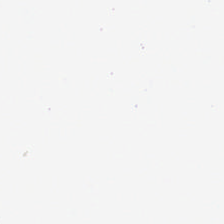Formalin-fixed paraffin-embedded section; hematoxylin and eosin; WSI patch. No tissue present; background only.
